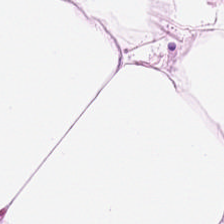224×224 px patch · 0.5 µm per pixel · H&E stain.
Tissue — adipose tissue.
